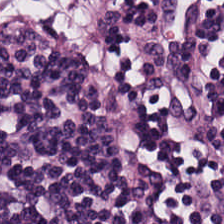H&E-stained tissue section — Q: What is shown here?
A: It is lymphocyte aggregate.
